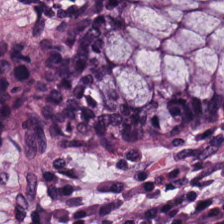224×224 px tile · H&E stain · 0.5 µm/px.
{"tissue_type": "benign colonic mucosa"}
